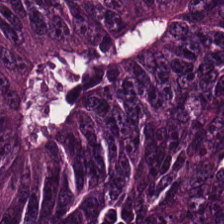Hematoxylin-and-eosin stained section. Brightfield.
The tissue here is adenocarcinoma.
